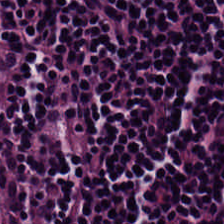H&E-stained tissue section.
This patch shows lymphocyte aggregate.
